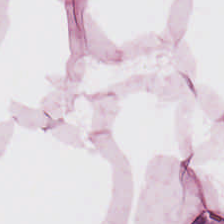Hematoxylin-and-eosin stained section. 0.5 µm per pixel.
Q: What is the predominant tissue type?
A: It is fat tissue.
